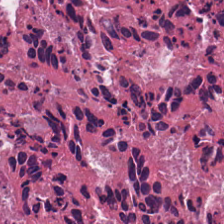This patch shows debris.
